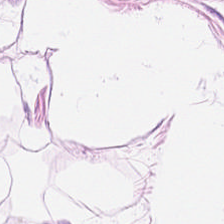Hematoxylin-and-eosin stained section — This patch shows adipocytes.
